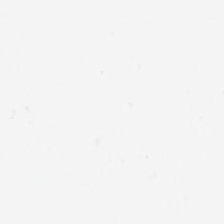Background — no tissue in this field.
